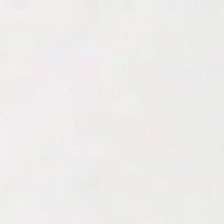H&E; brightfield; formalin-fixed paraffin-embedded section — Empty field — no tissue.
